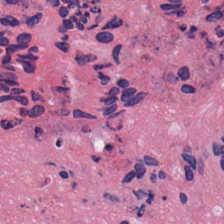Hematoxylin and eosin. 0.5 µm/px — Q: What does this patch show?
A: This is debris.
